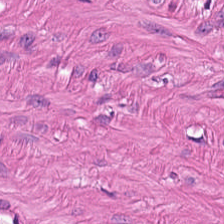H&E stain · 224×224 px tile.
Smooth muscle.
